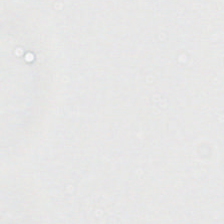Hematoxylin and eosin. Field content = empty background.
